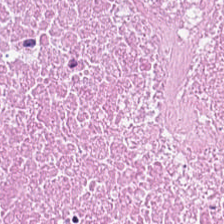H&E-stained tissue section; 224×224 px tile; FFPE tissue section — Tissue = cellular debris.
